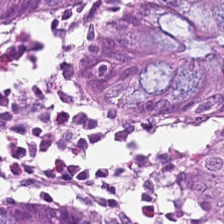FFPE tissue section; H&E stain — Tissue: non-neoplastic colon mucosa.
